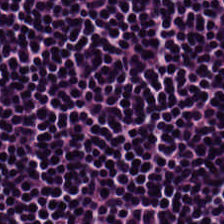Showing lymphocytes.
